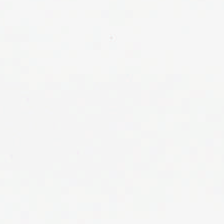Hematoxylin and eosin — No tissue present; background only.
